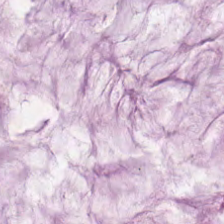Hematoxylin-and-eosin stained section — Tissue class = mucin.
